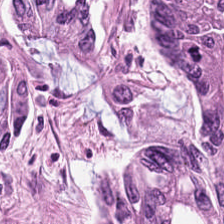Hematoxylin-and-eosin stained section — Predominantly colorectal adenocarcinoma.
